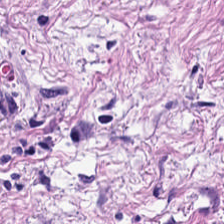H&E-stained tissue section; whole-slide-image patch. The predominant tissue is desmoplastic stroma.
